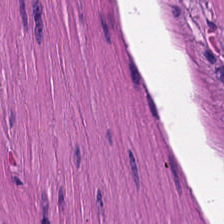Hematoxylin and eosin.
Predominantly muscularis.
